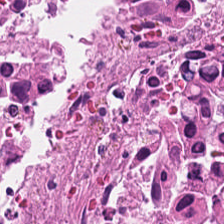H&E-stained tissue section. Formalin-fixed paraffin-embedded section. Brightfield microscopy. Tissue class: necrotic debris.
